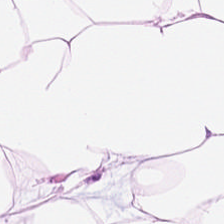0.5 µm/px; 224×224 px patch; H&E-stained tissue section.
Tissue class: fat tissue.
